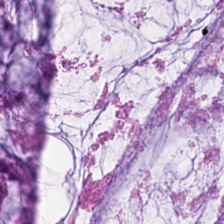The predominant tissue is extracellular mucin.
